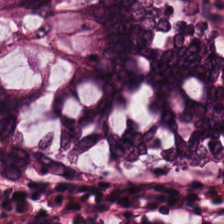Impression → normal colon mucosa.
